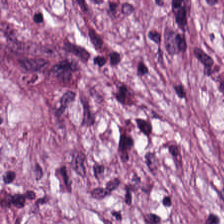Stain: hematoxylin and eosin.
Tissue type: tumor stroma.
